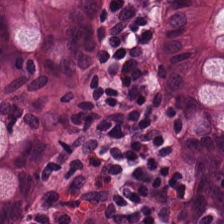Hematoxylin and eosin. Tissue class — benign colonic mucosa.
